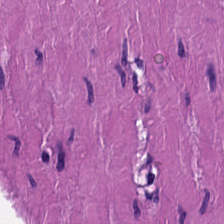Classification: smooth muscle.
